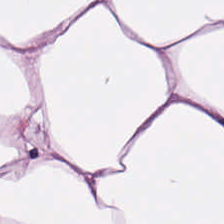Hematoxylin and eosin. Adipocytes.
